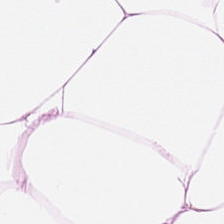Hematoxylin and eosin. Showing fat tissue.
